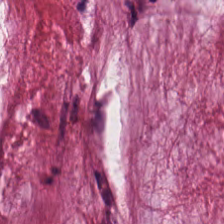Predominant tissue: mucus.
